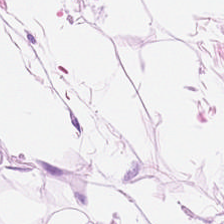H&E stain.
Showing adipocytes.
